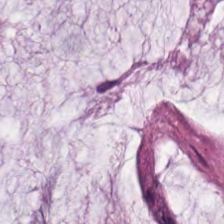H&E — extracellular mucin.
